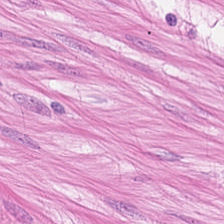224×224 px tile · hematoxylin-and-eosin stained section · FFPE tissue section.
The predominant tissue is muscularis.
